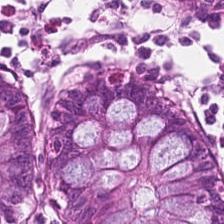H&E stain. Q: Classify this patch.
A: It is normal colonic mucosa.
